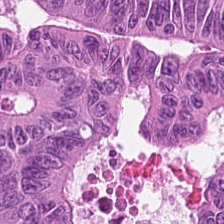0.5 microns per pixel. H&E-stained tissue section — The classification is colorectal adenocarcinoma.
